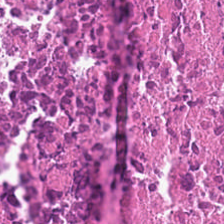0.5 µm per pixel. H&E stain. Debris.
